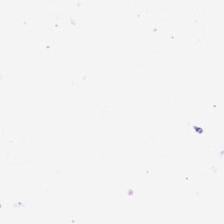H&E-stained tissue section — This field is background (no tissue).
